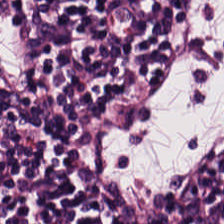Q: What is shown here?
A: Lymphoid infiltrate.
